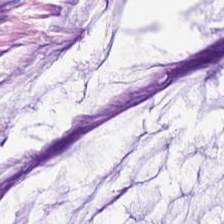224×224 px patch; formalin-fixed paraffin-embedded section; H&E-stained tissue section. {"tissue_type": "mucin"}
